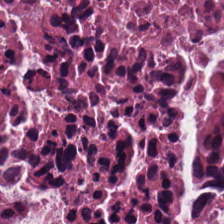Hematoxylin-and-eosin stained section. The predominant tissue is necrotic debris.
